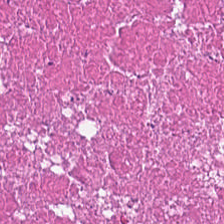H&E stain.
The tissue type is debris.
